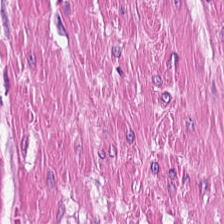Hematoxylin-and-eosin section: smooth-muscle tissue.
